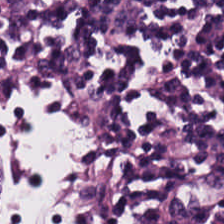H&E stain — Lymphocytic infiltrate.
